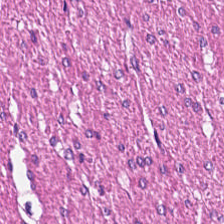H&E-stained tissue section · 20× equivalent magnification.
Tissue type — muscularis.
